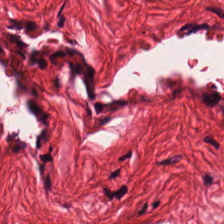Smooth-muscle tissue.
